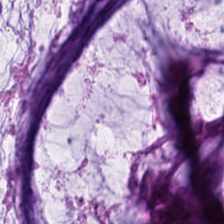H&E stain.
Q: What is shown in this field?
A: This is mucin.
